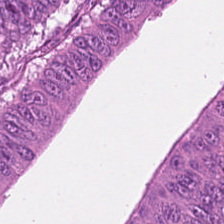Stain: hematoxylin-and-eosin stained section.
Tile size: 224×224 px patch.
Resolution: 0.5 µm/px.
Tissue type: tumor epithelium.
